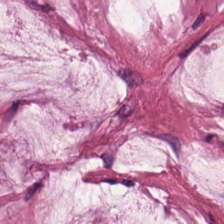The predominant tissue is mucus.
